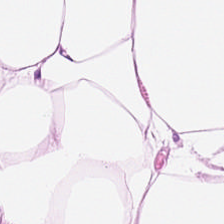Hematoxylin-and-eosin stained section. Q: Classify this patch.
A: It is adipocytes.
